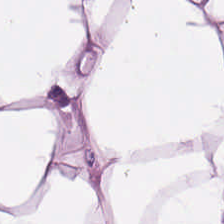H&E stain. Q: What tissue is shown?
A: This is adipocytes.
